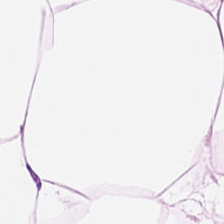Hematoxylin-and-eosin stained section.
Tissue type = adipose.
